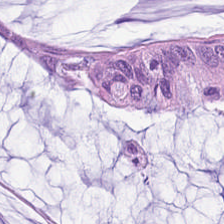Stain: H&E-stained tissue section.
Tile size: 224×224 pixel tile.
Acquisition: brightfield microscopy.
Predominant tissue: mucus.
